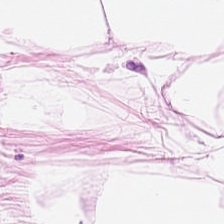Tissue type: adipocytes.
